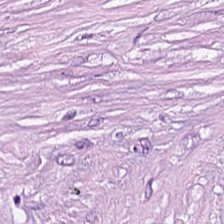0.5 µm per pixel. H&E-stained tissue section. 224×224 px tile. Desmoplastic stroma.
